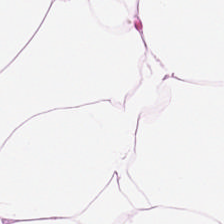FFPE · hematoxylin-and-eosin stained section. The classification is adipocytes.
